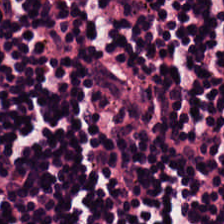H&E-stained tissue section — Predominantly lymphocytic infiltrate.
